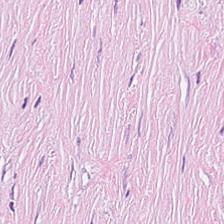Histology — desmoplastic stroma.
